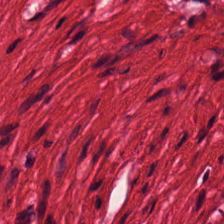FFPE tissue section · 0.5 µm per pixel · H&E stain — The tissue type is muscularis.
